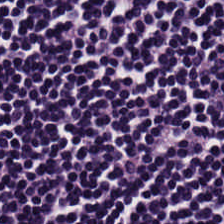FFPE tissue section · hematoxylin and eosin — Q: What does this patch show?
A: It is lymphocyte aggregate.
